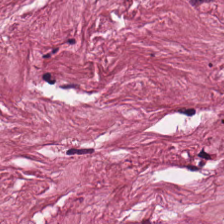Tissue class: desmoplastic stroma.
